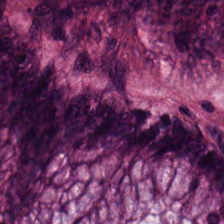The tissue here is normal colonic mucosa.
